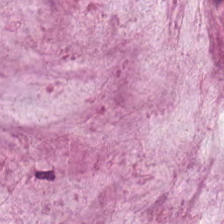Hematoxylin and eosin · brightfield · formalin-fixed paraffin-embedded section. Showing mucin.
